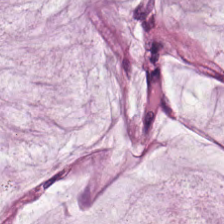Stain: H&E-stained tissue section.
Tissue type: mucin.
